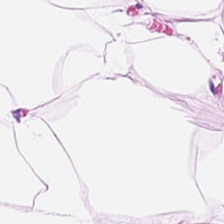Formalin-fixed paraffin-embedded section · 0.5 µm/px · H&E.
Showing adipocytes.
